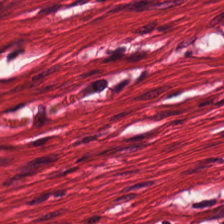Hematoxylin-and-eosin stained section.
This patch shows smooth-muscle tissue.
